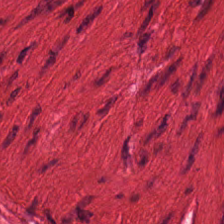224×224 px tile. WSI patch. H&E — Predominant tissue = smooth muscle.
